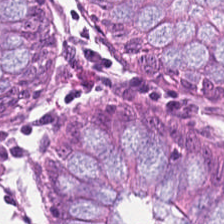The tissue here is normal colon mucosa.
